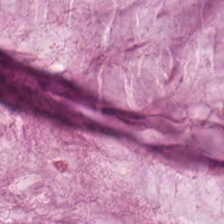H&E-stained tissue section · 20× equivalent magnification. Predominant tissue = extracellular mucin.
